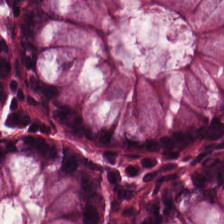Stain: hematoxylin and eosin.
Tile size: 224×224 pixel tile.
Tissue: non-neoplastic colon mucosa.
